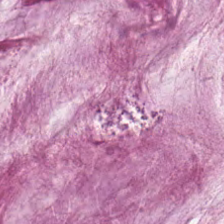H&E; 224×224 px tile; brightfield microscopy — Classification — extracellular mucin.
